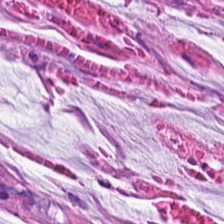Brightfield; hematoxylin-and-eosin stained section.
This patch shows mucin.
